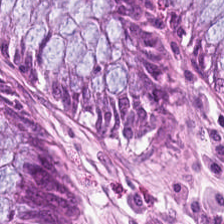H&E — Classification — benign colonic mucosa.
